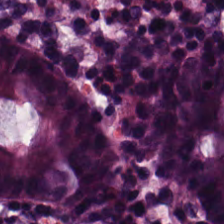Q: What is shown in this field?
A: This is benign colonic mucosa.
